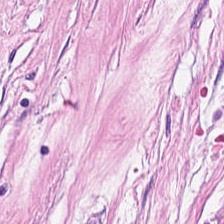Hematoxylin-and-eosin stained section.
Tissue: desmoplastic stroma.
